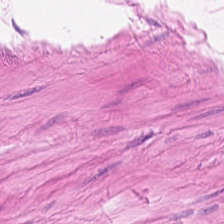H&E stain. FFPE tissue section — Tissue type — muscularis.
